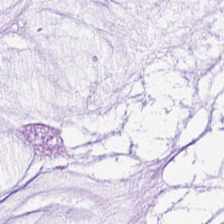Stain: H&E-stained tissue section.
Tissue type: mucus.
